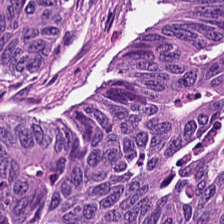Formalin-fixed paraffin-embedded section · brightfield · hematoxylin-and-eosin stained section. This field is colorectal adenocarcinoma epithelium.
